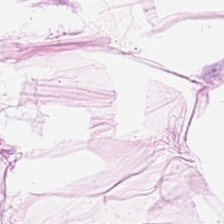Hematoxylin-and-eosin stained section; 0.5 µm/px.
Tissue class — adipose.
